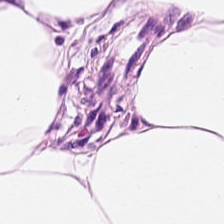Stain: H&E stain.
Tissue: adipose tissue.
